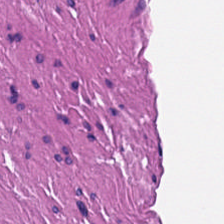Tissue type — muscularis.
